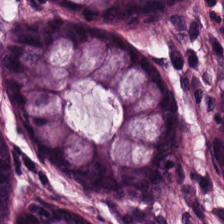H&E stain — Showing benign colonic mucosa.
